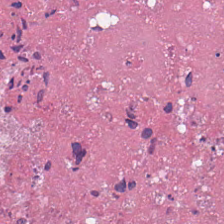Hematoxylin and eosin. 224×224 px tile. Brightfield microscopy. {"tissue_type": "cellular debris"}
